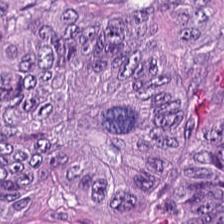WSI patch; hematoxylin-and-eosin stained section.
Q: What tissue is shown?
A: The field shows colorectal adenocarcinoma.
